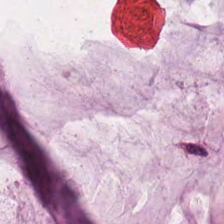This field is extracellular mucin.
